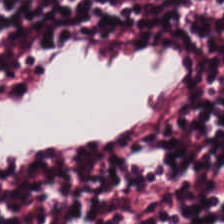Stain: H&E-stained tissue section.
Tissue class: lymphocytic infiltrate.
